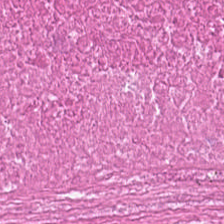H&E — cellular debris.
